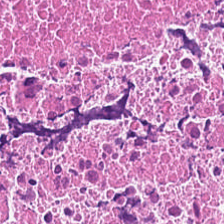0.5 microns per pixel; hematoxylin and eosin; FFPE. The predominant tissue is cellular debris.
